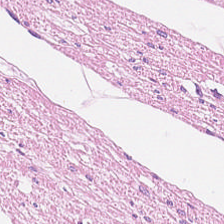Hematoxylin-and-eosin stained section.
The tissue type is smooth-muscle tissue.
